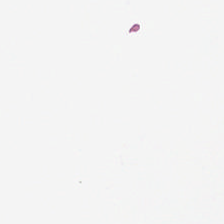0.5 microns per pixel. H&E stain — Content — no tissue.
